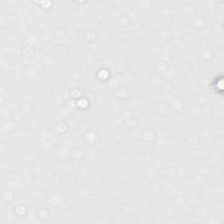Q: What does this patch show?
A: The field shows background (no tissue).
